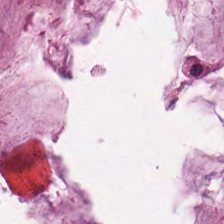0.5 microns per pixel · FFPE tissue section · H&E-stained tissue section — The tissue here is mucus.
